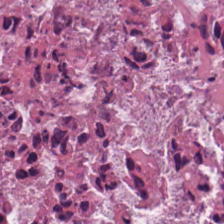Hematoxylin-and-eosin stained section — Predominantly debris.
